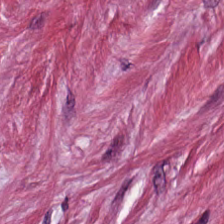Whole-slide-image patch. H&E. FFPE tissue section. Predominantly tumor stroma.
